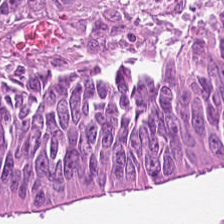This field is colorectal adenocarcinoma epithelium.
